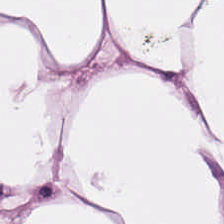Hematoxylin and eosin.
Q: What type of tissue is this?
A: The field shows fat tissue.
